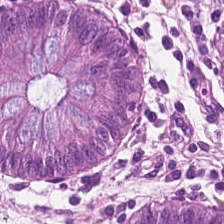Non-neoplastic colon mucosa.
